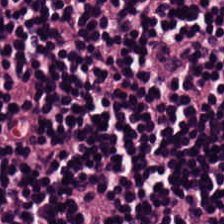Histology — lymphoid infiltrate.
